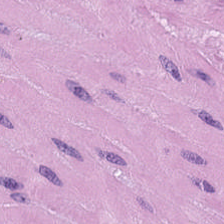Predominant tissue — muscularis.
